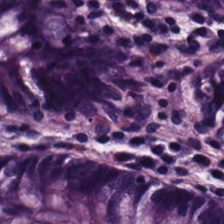H&E-stained tissue section — {"tissue_type": "benign colonic mucosa"}
